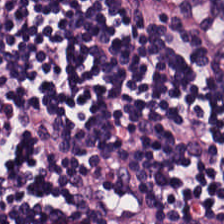H&E. Q: What is shown here?
A: This is lymphocytic infiltrate.
